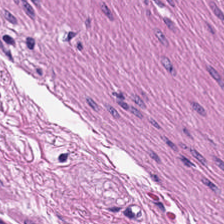0.5 µm/px. Hematoxylin and eosin.
Impression — smooth muscle.
